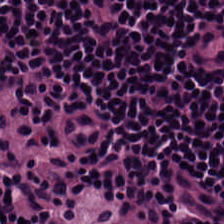The predominant tissue is lymphoid infiltrate.
